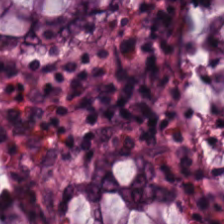0.5 µm per pixel; hematoxylin-and-eosin stained section; FFPE tissue section. This field is non-neoplastic colon mucosa.
